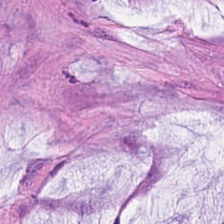Tissue type = extracellular mucin.
